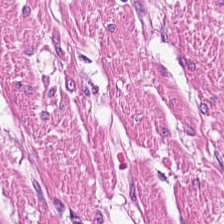H&E stain; 0.5 microns per pixel; brightfield microscopy — Showing smooth-muscle tissue.
